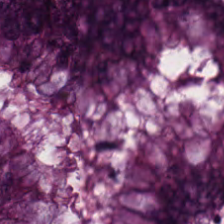Hematoxylin and eosin — The predominant tissue is benign colonic mucosa.
